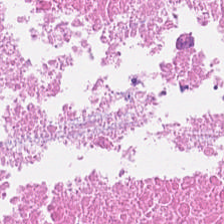FFPE tissue section; H&E.
Q: What is the predominant tissue type?
A: The field shows debris.
